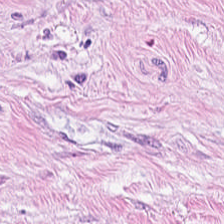224×224 px tile. FFPE. Hematoxylin-and-eosin stained section. Predominantly desmoplastic stroma.
